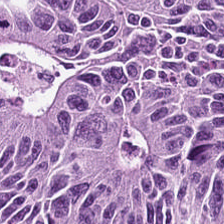This patch shows malignant epithelium.
